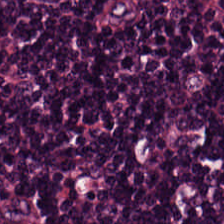H&E stain. Q: What tissue is shown?
A: It is lymphocytic infiltrate.
